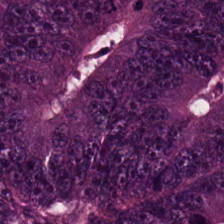Formalin-fixed paraffin-embedded section · hematoxylin and eosin — Tissue: adenocarcinoma.
